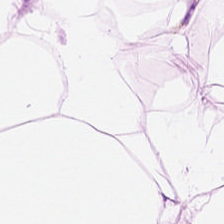Stain: H&E-stained tissue section.
Tissue: adipocytes.
